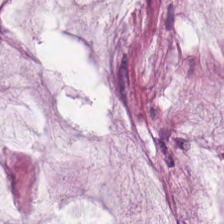Stain: hematoxylin and eosin.
Preparation: formalin-fixed paraffin-embedded section.
Tile size: 224×224 px patch.
Tissue class: mucus.
